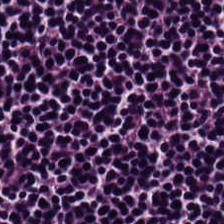Hematoxylin-and-eosin stained section. Q: Classify this patch.
A: This is lymphocytic infiltrate.
